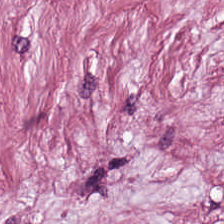Hematoxylin and eosin · WSI patch · 20× equivalent magnification.
Q: What type of tissue is this?
A: Tumor stroma.
